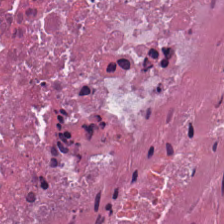Brightfield; H&E — Q: What is shown in this field?
A: This is cellular debris.
